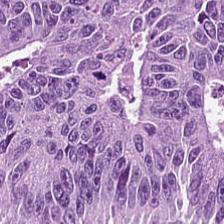H&E-stained tissue section. Tumor epithelium.
